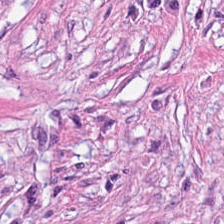Stain: H&E-stained tissue section.
Predominant tissue: desmoplastic stroma.
